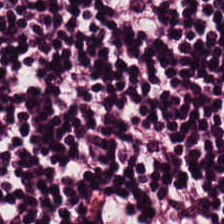H&E-stained tissue section. The tissue type is lymphocytes.
